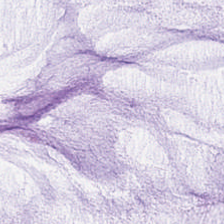H&E; 20× equivalent magnification — Finding — mucus.
